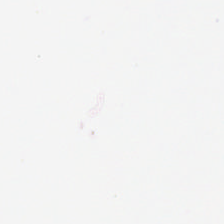Formalin-fixed paraffin-embedded section. 224×224 px patch. H&E — Background — no tissue in this field.
